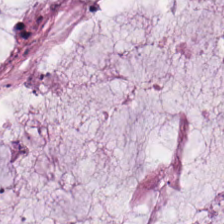Hematoxylin and eosin; brightfield microscopy. The predominant tissue is mucin.
